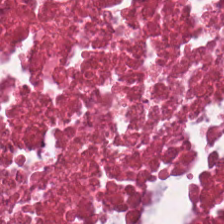H&E-stained tissue section. Finding → cellular debris.
